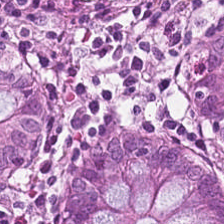Tissue type — normal colonic mucosa.
